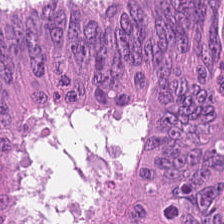0.5 µm per pixel · hematoxylin-and-eosin stained section.
Q: What tissue is shown?
A: The field shows colorectal adenocarcinoma.
